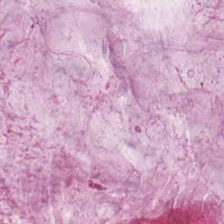H&E. Predominant tissue: mucin.
